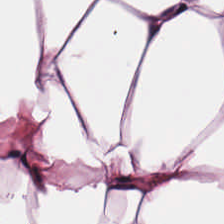Stain: H&E.
Tile size: 224×224 px patch.
Tissue: adipose.
